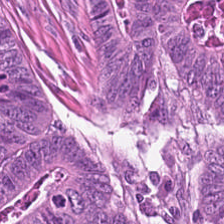H&E-stained tissue section. {"tissue_type": "adenocarcinoma"}
